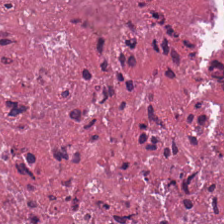Q: What type of tissue is this?
A: It is cellular debris.
